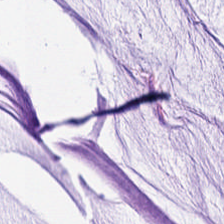H&E stain — Q: What tissue type is shown here?
A: It is mucin.
